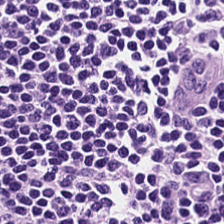H&E · formalin-fixed paraffin-embedded section · 224×224 pixel tile.
Q: What is the predominant tissue type?
A: Lymphoid infiltrate.
